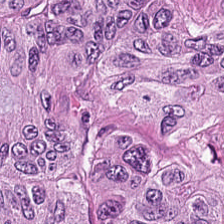Hematoxylin and eosin. 224×224 px tile.
Tissue type: tumor epithelium.
